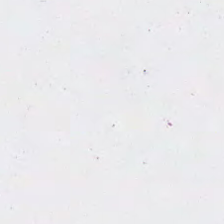224×224 px tile; brightfield microscopy; hematoxylin-and-eosin stained section. No tissue present; background only.
